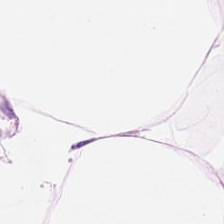Tissue class = fat tissue.
